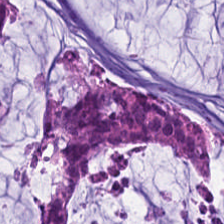Brightfield · H&E — Impression → extracellular mucin.
